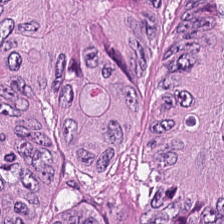H&E.
This patch shows adenocarcinoma.
